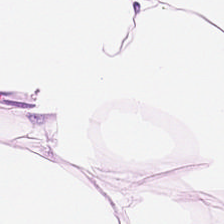Tissue = adipose.
